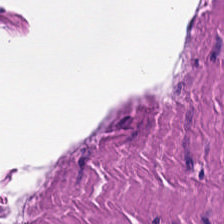FFPE tissue section; H&E-stained tissue section. This patch shows smooth-muscle tissue.
